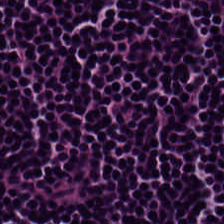0.5 microns per pixel; H&E-stained tissue section. Lymphocytes.
